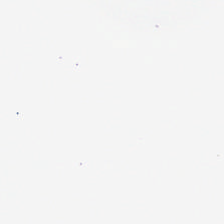Hematoxylin-and-eosin stained section — Empty field — background.
